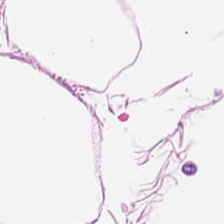224×224 px patch · FFPE tissue section · H&E — Predominant tissue = fat tissue.
